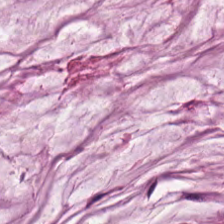H&E-stained tissue section — Classification: mucus.
